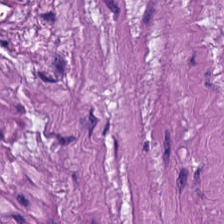H&E stain · FFPE · 224×224 pixel tile. Predominant tissue: smooth muscle.
